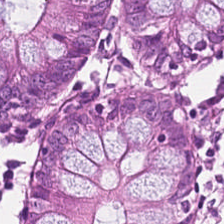Stain: H&E-stained tissue section.
Preparation: formalin-fixed paraffin-embedded section.
Tissue: normal colonic mucosa.
